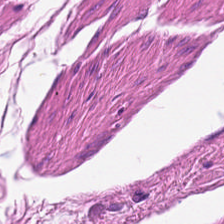Hematoxylin-and-eosin stained section. FFPE tissue section.
This field is smooth muscle.
